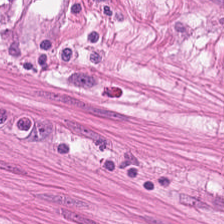224×224 pixel tile. Hematoxylin-and-eosin stained section. Classification — smooth muscle.
